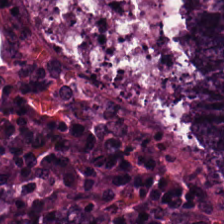H&E-stained tissue section. Histology — colorectal adenocarcinoma epithelium.
